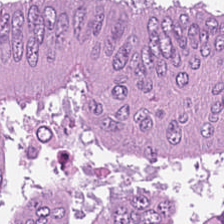Hematoxylin and eosin.
The predominant tissue is malignant epithelium.
